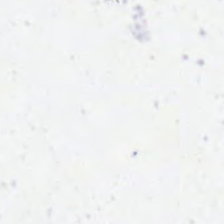FFPE. Hematoxylin-and-eosin stained section — {"content": "no tissue"}
